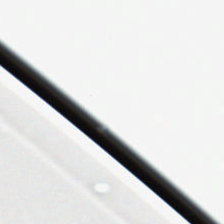Hematoxylin-and-eosin stained section · whole-slide-image patch — Q: Classify this patch.
A: The field shows empty background.
